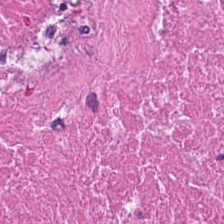Stain: H&E stain.
Predominant tissue: cellular debris.
